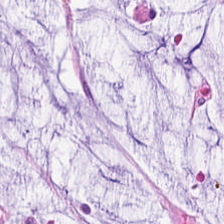0.5 µm/px. FFPE tissue section. Hematoxylin-and-eosin stained section — Classification: mucus.
